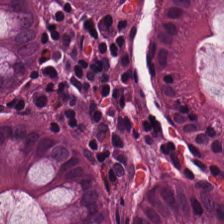The predominant tissue is normal colonic mucosa.
